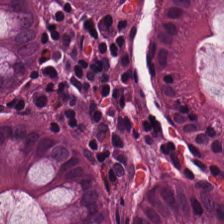The predominant tissue is normal colonic mucosa.
